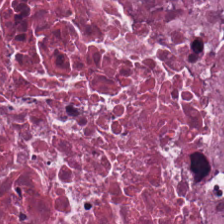224×224 px patch · H&E — Histology → cellular debris.
